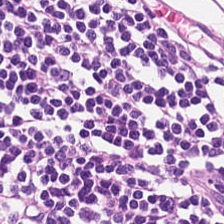Stain: H&E-stained tissue section.
Tissue class: lymphocytic infiltrate.
